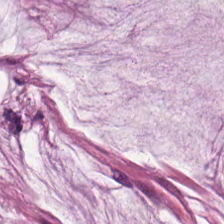Brightfield microscopy. H&E.
Mucin.
